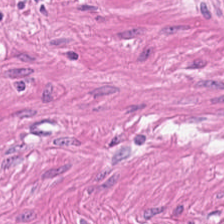WSI patch; formalin-fixed paraffin-embedded section; hematoxylin-and-eosin stained section.
Finding → smooth-muscle tissue.
